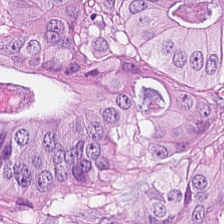Showing colorectal adenocarcinoma.
